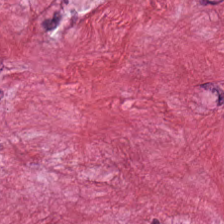This field is desmoplastic stroma.
